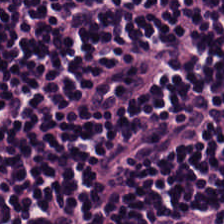Stain: hematoxylin-and-eosin stained section.
Tissue class: lymphocyte aggregate.
